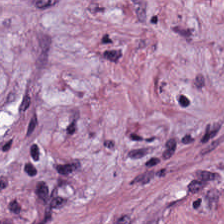Hematoxylin and eosin.
Classification = desmoplastic stroma.
